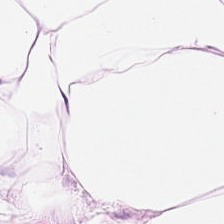Stain: hematoxylin and eosin.
Predominant tissue: fat tissue.
